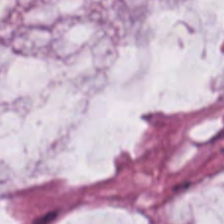FFPE tissue section; 0.5 microns per pixel; H&E-stained tissue section — Mucus.
